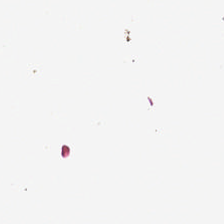Hematoxylin-and-eosin stained section · FFPE tissue section · 0.5 µm/px.
Content — no tissue.
